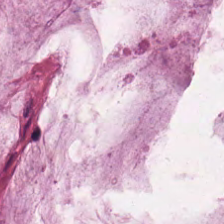Tissue type = extracellular mucin.
